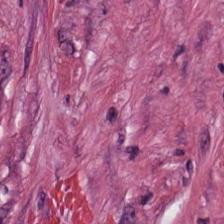224×224 pixel tile. H&E-stained tissue section — Q: What is shown in this field?
A: It is tumor-associated stroma.
